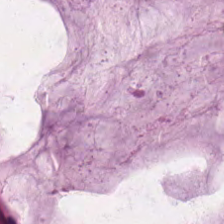WSI patch. H&E. Classification: mucin.
